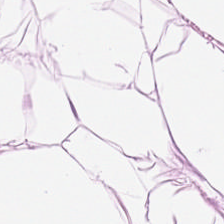Formalin-fixed paraffin-embedded section · H&E stain.
Q: What tissue is shown?
A: This is adipose tissue.
